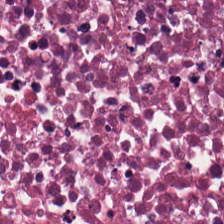H&E stain; FFPE tissue section.
Q: What type of tissue is this?
A: This is cellular debris.
